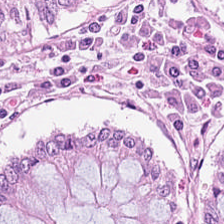H&E stain. This patch shows benign colonic mucosa.
